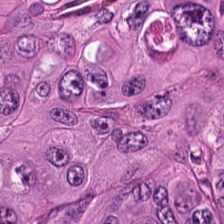Hematoxylin and eosin. {"tissue_type": "colorectal adenocarcinoma epithelium"}
